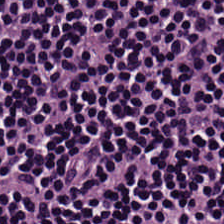Q: What type of tissue is this?
A: The field shows lymphocytic infiltrate.
